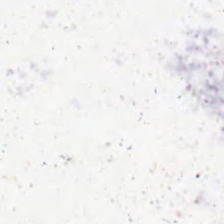H&E stain — Empty field — background (no tissue).
